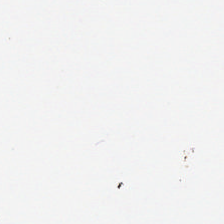The classification is background.
